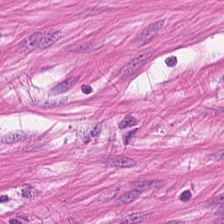Brightfield microscopy · H&E — The tissue is smooth-muscle tissue.
